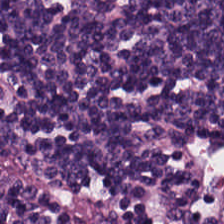Hematoxylin and eosin.
Impression — lymphoid infiltrate.
